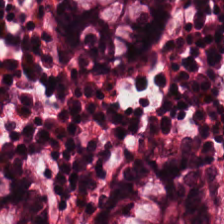H&E. WSI patch. Q: Classify this patch.
A: This is normal colonic mucosa.
